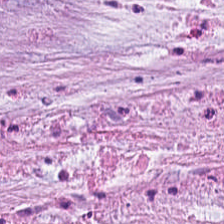H&E-stained tissue section. Showing mucus.
